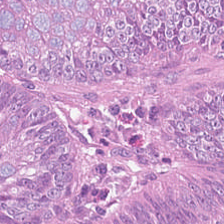FFPE · hematoxylin-and-eosin stained section.
Q: What tissue is shown?
A: Colorectal adenocarcinoma epithelium.
